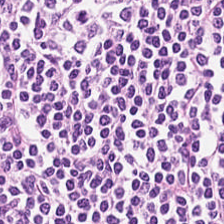Brightfield microscopy · hematoxylin and eosin. Impression — lymphocytes.
